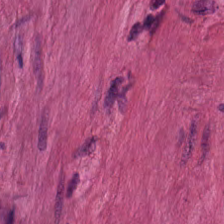Predominant tissue = muscularis.
